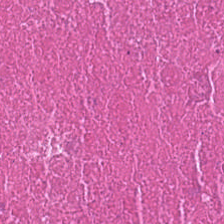Tissue = debris.
